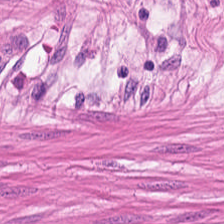H&E-stained tissue section. Predominantly smooth-muscle tissue.
